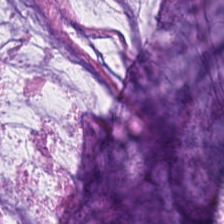Hematoxylin and eosin — Impression → extracellular mucin.
